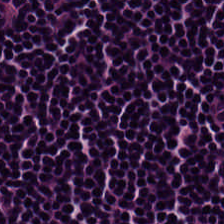Hematoxylin-and-eosin stained section — Finding → lymphocyte aggregate.
